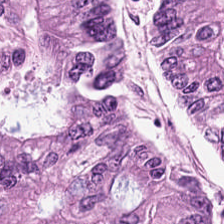Stain: hematoxylin-and-eosin stained section.
Tile size: 224×224 px tile.
Classification: colorectal adenocarcinoma.
